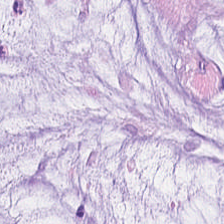Tissue type = extracellular mucin.
